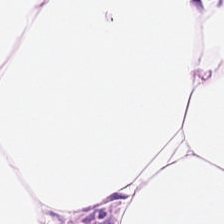Hematoxylin and eosin. Whole-slide-image patch.
Q: What tissue type is shown here?
A: It is adipose.
